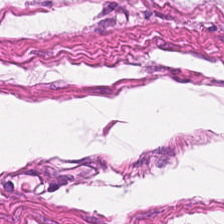Showing smooth muscle.
